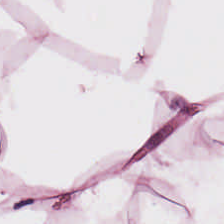The predominant tissue is adipose.
